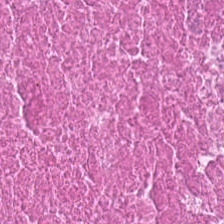H&E. Showing necrotic debris.
